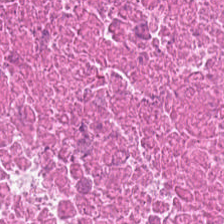Q: Identify the tissue.
A: Necrotic debris.
